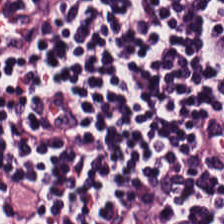H&E stain.
The tissue is lymphocyte aggregate.
